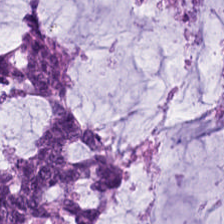Formalin-fixed paraffin-embedded section; hematoxylin and eosin.
Classification = mucin.
